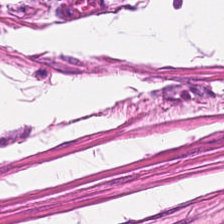Q: What is the predominant tissue type?
A: This is smooth-muscle tissue.
